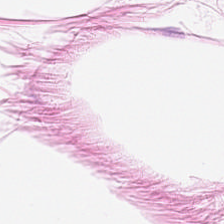H&E stain — Classification: adipose.
